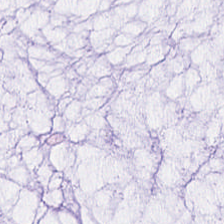Brightfield microscopy. 224×224 px tile. Hematoxylin and eosin — Q: What tissue type is shown here?
A: This is mucin.
